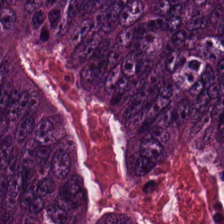H&E stain — Showing colorectal adenocarcinoma epithelium.
